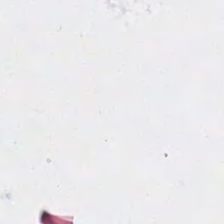H&E — Classification — background.
